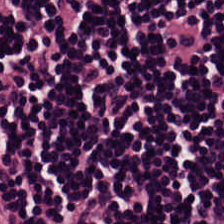0.5 µm per pixel; whole-slide-image patch; hematoxylin and eosin. Impression — lymphocytic infiltrate.
